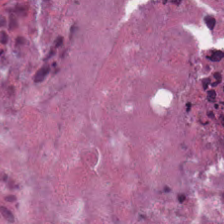Tissue type = cellular debris.
